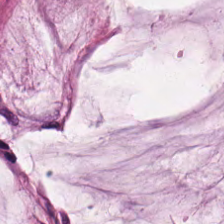H&E — Q: Identify the tissue.
A: It is extracellular mucin.
